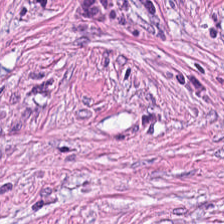0.5 µm/px · hematoxylin-and-eosin stained section.
The tissue class is tumor-associated stroma.
